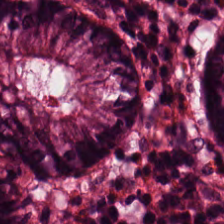Stain: H&E.
Tissue class: normal colon mucosa.
